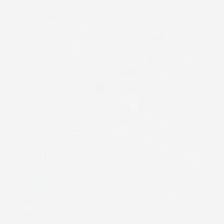Hematoxylin and eosin — Background — no tissue in this field.
